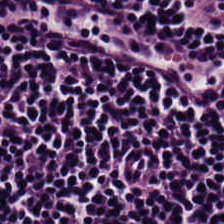H&E stain.
The tissue here is lymphocytic infiltrate.
